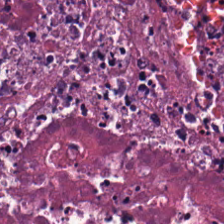Stain: H&E stain.
Tissue: cellular debris.
